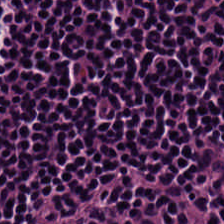Predominant tissue: lymphocytic infiltrate.
